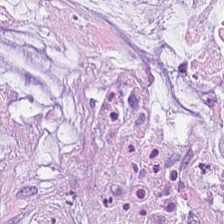H&E stain — The tissue here is extracellular mucin.
